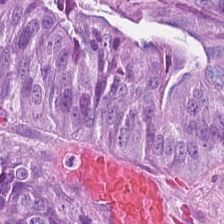H&E-stained tissue section showing colorectal adenocarcinoma epithelium.
